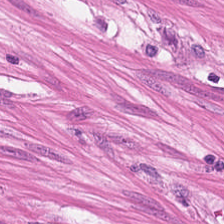H&E stain. {"tissue_type": "smooth muscle"}
